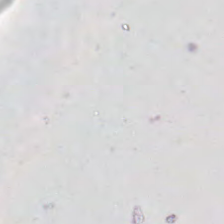H&E stain.
No tissue present; background only.
